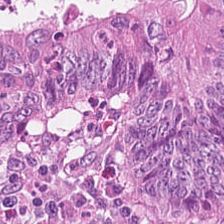224×224 pixel tile; 0.5 µm/px; hematoxylin and eosin. This field is adenocarcinoma.
